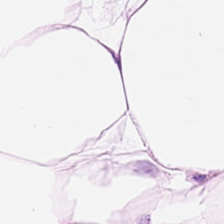H&E stain.
Q: What is shown here?
A: Adipose.
